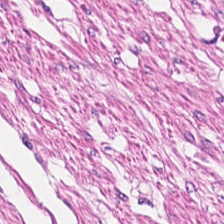Tissue type — smooth-muscle tissue.
